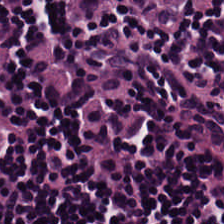Stain: H&E stain.
Acquisition: brightfield microscopy.
Tissue: lymphocytes.
